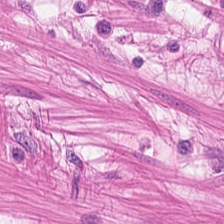Hematoxylin-and-eosin stained section.
This field is smooth-muscle tissue.
